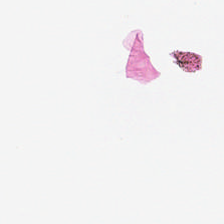Hematoxylin-and-eosin stained section. The content is no tissue.
